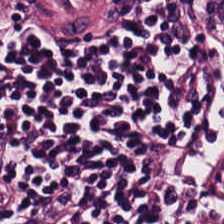Predominantly lymphoid infiltrate.
